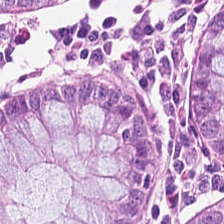Hematoxylin and eosin — {"tissue_type": "normal colon mucosa"}
